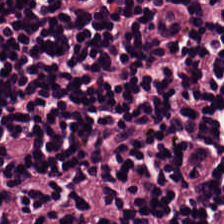Hematoxylin-and-eosin stained section. Predominantly lymphocytes.
